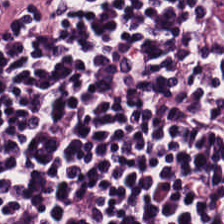H&E stain.
Showing lymphocytes.
